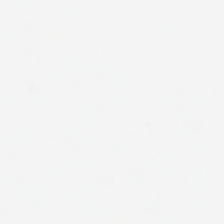Whole-slide-image patch; H&E stain; 224×224 px patch — Background.
